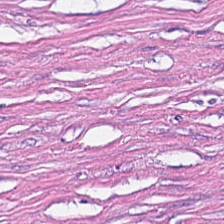Tissue class: desmoplastic stroma.
